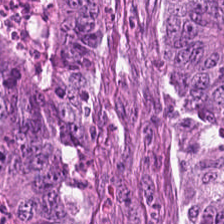H&E; FFPE — Finding → colorectal adenocarcinoma.
